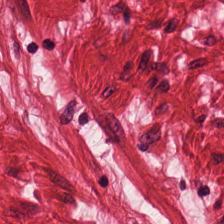Hematoxylin-and-eosin stained section; 20× equivalent magnification. This field is smooth muscle.
